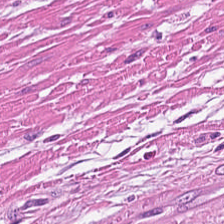Hematoxylin and eosin · FFPE · 224×224 pixel tile — The tissue class is smooth-muscle tissue.
